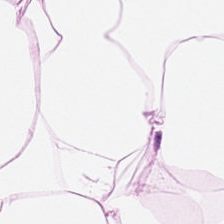Formalin-fixed paraffin-embedded section; H&E.
Q: What is shown in this field?
A: It is adipose.
